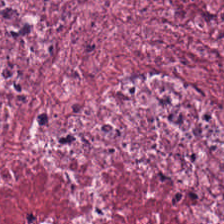Hematoxylin and eosin — The tissue here is cancer-associated stroma.
